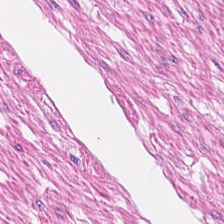Hematoxylin and eosin.
Finding — smooth muscle.
